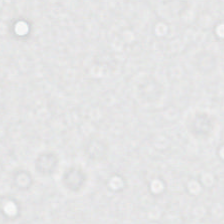H&E.
Empty field — empty background.
